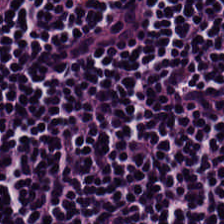Hematoxylin-and-eosin stained section · FFPE.
Q: What tissue type is shown here?
A: Lymphocyte aggregate.
